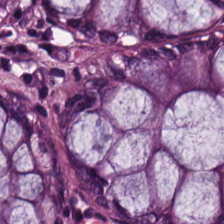H&E · 224×224 pixel tile.
Classification = non-neoplastic colon mucosa.
